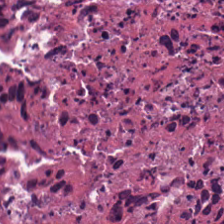H&E-stained tissue section.
{"tissue_type": "cellular debris"}
